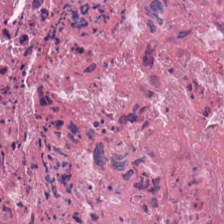Predominant tissue = cellular debris.
